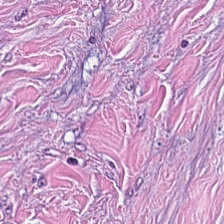Stain: hematoxylin and eosin.
Tissue class: tumor-associated stroma.
